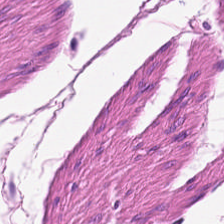The predominant tissue is muscularis.
